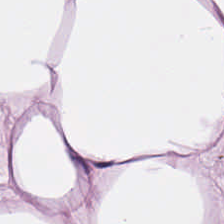Tissue class: adipose tissue.
